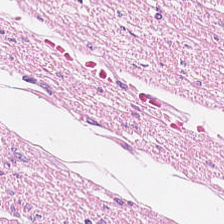224×224 px patch; H&E stain — Predominantly smooth muscle.
